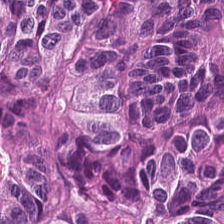H&E.
Predominant tissue — malignant epithelium.
